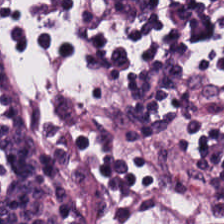Hematoxylin and eosin · 224×224 pixel tile · brightfield microscopy.
Q: What is the predominant tissue type?
A: The field shows lymphocytic infiltrate.
